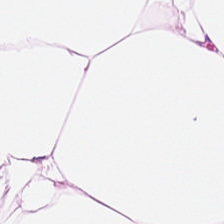Hematoxylin and eosin — Showing adipose tissue.
